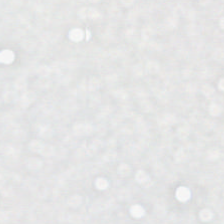This patch shows background (no tissue).
